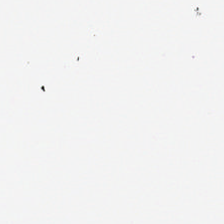Hematoxylin-and-eosin stained section — Histology — background (no tissue).
